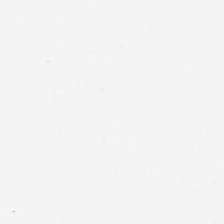H&E stain.
This patch shows background.
